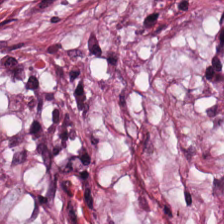H&E stain. 224×224 px patch — This patch shows tumor stroma.
